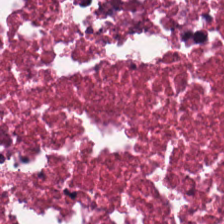Hematoxylin and eosin · whole-slide-image patch.
The predominant tissue is necrotic debris.
